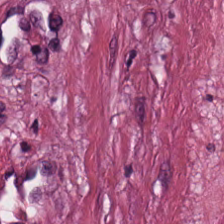H&E · FFPE tissue section · whole-slide-image patch — Tissue class — cancer-associated stroma.
